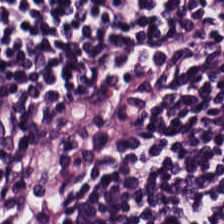Hematoxylin-and-eosin stained section. 20× equivalent magnification. 224×224 px tile — Tissue class: lymphoid infiltrate.
